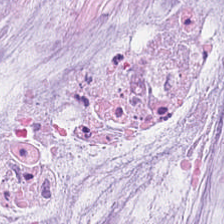Hematoxylin and eosin — Tissue type — mucin.
